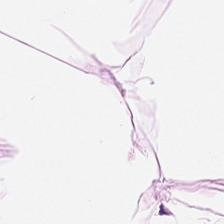Hematoxylin-and-eosin stained section — Q: What is the predominant tissue type?
A: This is fat tissue.
